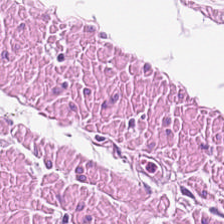Stain: H&E.
Tissue: smooth-muscle tissue.
